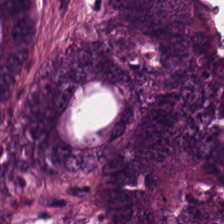Stain: hematoxylin-and-eosin stained section.
Tile size: 224×224 px patch.
Tissue class: colorectal adenocarcinoma epithelium.
